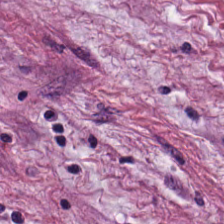H&E.
Tissue type — desmoplastic stroma.
